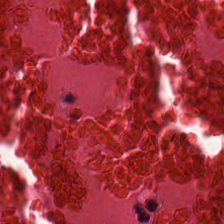Hematoxylin and eosin · 0.5 µm per pixel. This field is debris.
